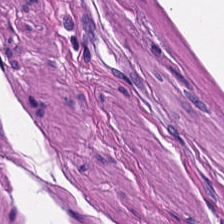Hematoxylin-and-eosin section: smooth-muscle tissue.
